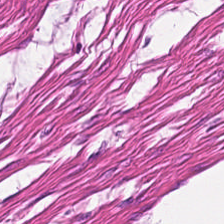Hematoxylin and eosin.
This patch shows smooth muscle.
